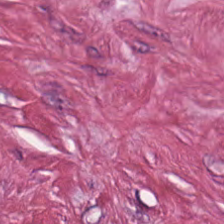Stain: hematoxylin-and-eosin stained section.
Classification: cancer-associated stroma.
